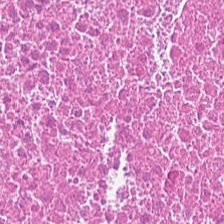Whole-slide-image patch · H&E-stained tissue section. Predominantly debris.
